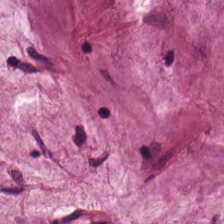Hematoxylin-and-eosin stained section — Tissue type — mucus.
